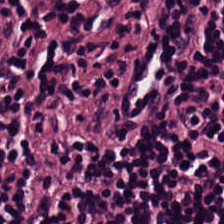224×224 px tile · H&E-stained tissue section.
The predominant tissue is lymphoid infiltrate.
